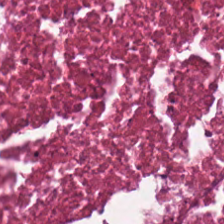H&E-stained tissue section. Q: What tissue is shown?
A: Necrotic debris.
